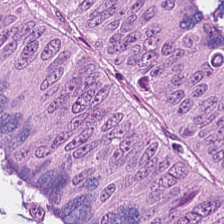H&E stain — The tissue is tumor epithelium.
